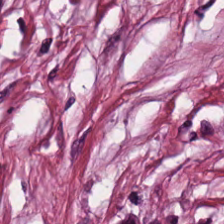0.5 µm per pixel; hematoxylin-and-eosin stained section — The predominant tissue is desmoplastic stroma.
